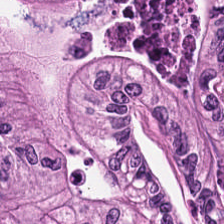Formalin-fixed paraffin-embedded section. Hematoxylin-and-eosin stained section.
This field is adenocarcinoma.
